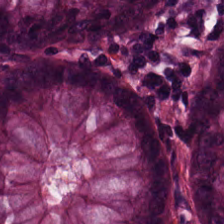Hematoxylin and eosin — Predominant tissue — benign colonic mucosa.
